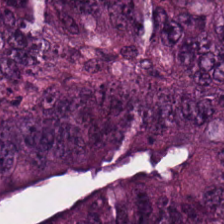H&E.
The predominant tissue is malignant epithelium.
